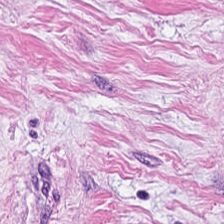Stain: hematoxylin and eosin.
Classification: desmoplastic stroma.
